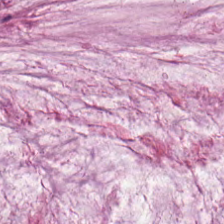H&E-stained tissue section; FFPE tissue section.
Histology — extracellular mucin.
